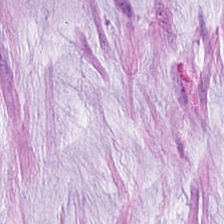Stain: hematoxylin and eosin.
Predominant tissue: mucin.
